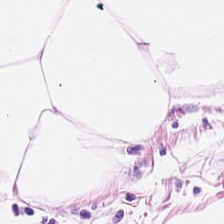H&E stain — The tissue class is fat tissue.
